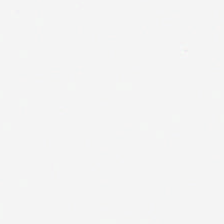{"content": "background (no tissue)"}
